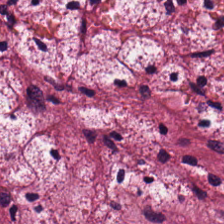Stain: hematoxylin-and-eosin stained section.
Resolution: 0.5 µm/px.
Tile size: 224×224 px tile.
Predominant tissue: cancer-associated stroma.
